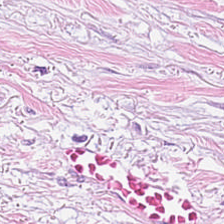The tissue is tumor stroma.
